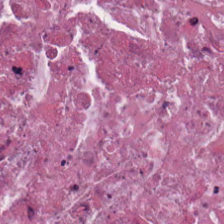0.5 µm/px · FFPE tissue section · hematoxylin-and-eosin stained section.
Predominantly cellular debris.
